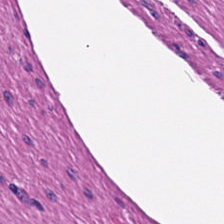Q: What type of tissue is this?
A: This is muscularis.
